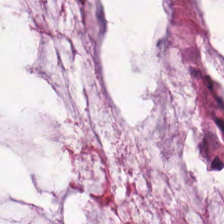H&E stain. This field is mucus.
